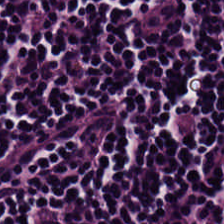WSI patch. 0.5 microns per pixel. Hematoxylin-and-eosin stained section.
Impression → lymphocytes.
